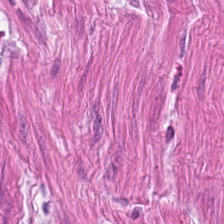Hematoxylin and eosin.
Impression — smooth muscle.
